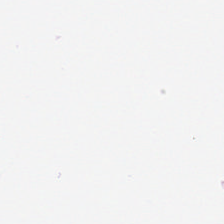H&E-stained tissue section. Whole-slide-image patch. Tissue — fat tissue.
